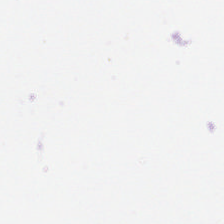H&E stain; brightfield — Content = no tissue.
